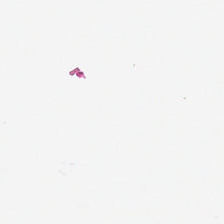Brightfield microscopy · 20× equivalent magnification · hematoxylin-and-eosin stained section.
This patch shows empty background.
